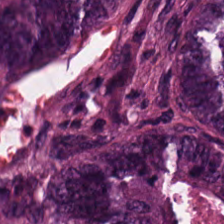224×224 px patch. H&E stain. Malignant epithelium.
